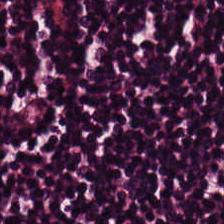Q: What does this patch show?
A: This is lymphocytes.
